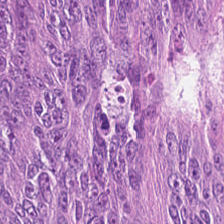H&E stain · formalin-fixed paraffin-embedded section — The predominant tissue is adenocarcinoma.
